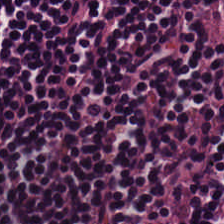H&E stain — This patch shows lymphocytes.
